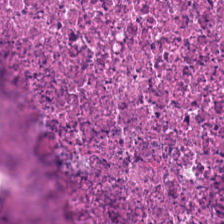Hematoxylin-and-eosin stained section — This field is necrotic debris.
